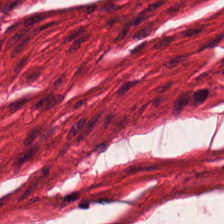H&E stain.
Q: What is shown here?
A: This is smooth muscle.
